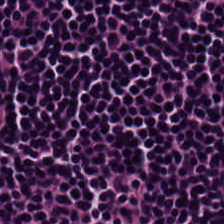Tissue — lymphocyte aggregate.
